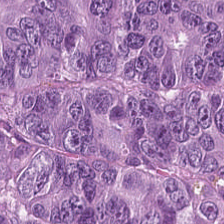224×224 px patch · H&E-stained tissue section — Classification: colorectal adenocarcinoma.
